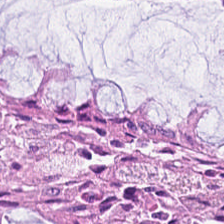The tissue is benign colonic mucosa.
